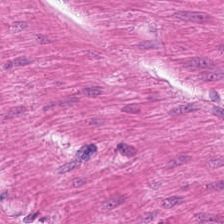Hematoxylin and eosin; FFPE.
Q: What tissue is shown?
A: It is smooth muscle.
